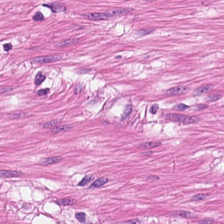The predominant tissue is muscularis.
